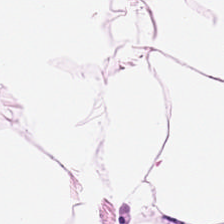H&E stain. Predominantly fat tissue.
